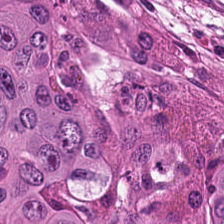FFPE · H&E.
The predominant tissue is tumor epithelium.
